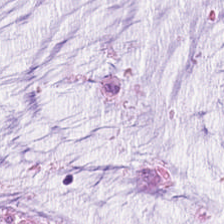H&E.
Tissue — extracellular mucin.
